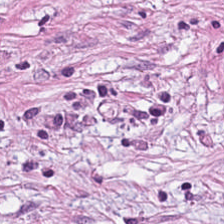20× equivalent magnification; H&E stain. Classification — cancer-associated stroma.
